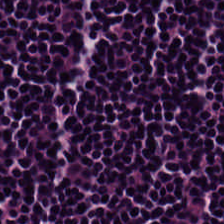Whole-slide-image patch. H&E.
This field is lymphocytes.
